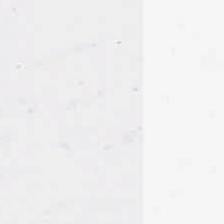H&E stain; brightfield microscopy.
Empty field — background.
